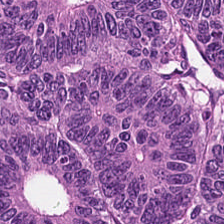Hematoxylin-and-eosin stained section — Histology → malignant epithelium.
